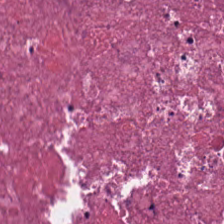Hematoxylin-and-eosin stained section.
Classification = necrotic debris.
